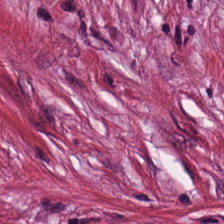H&E stain; 0.5 microns per pixel; 224×224 px patch — Q: Identify the tissue.
A: It is tumor-associated stroma.
